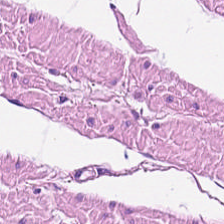Hematoxylin-and-eosin section: muscularis.
